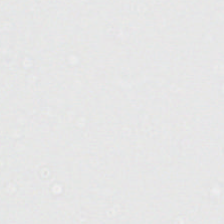This patch shows empty background.
